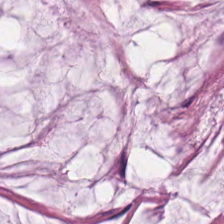H&E. Brightfield microscopy.
Classification: extracellular mucin.
